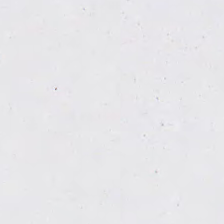20× equivalent magnification · H&E-stained tissue section. Empty background.
